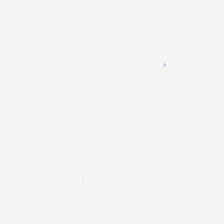0.5 µm per pixel. Hematoxylin-and-eosin stained section. 224×224 px tile — Q: Classify this patch.
A: The field shows empty background.
